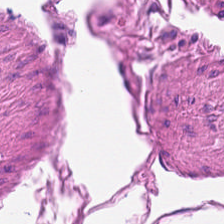Hematoxylin-and-eosin stained section.
Tissue: smooth-muscle tissue.
